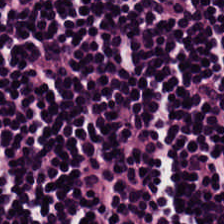Stain: hematoxylin and eosin.
Tissue type: lymphocyte aggregate.
